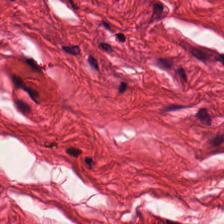Stain: H&E-stained tissue section.
Classification: muscularis.
